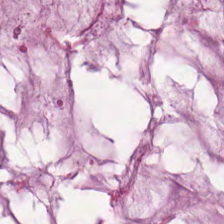Showing extracellular mucin.
